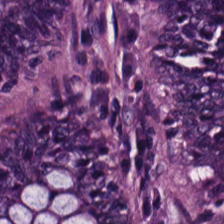H&E-stained tissue section.
The tissue here is benign colonic mucosa.
